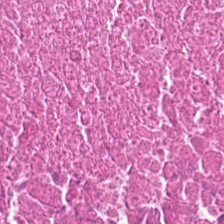Tissue type = debris.
